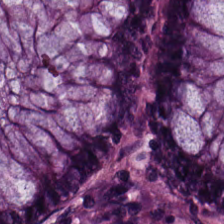Q: What tissue is shown?
A: The field shows benign colonic mucosa.
